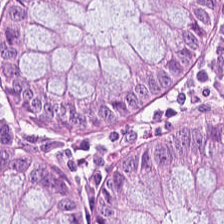WSI patch. Hematoxylin-and-eosin stained section — The predominant tissue is benign colonic mucosa.
